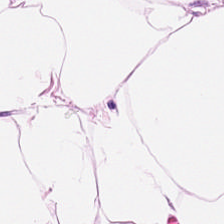H&E; whole-slide-image patch; 224×224 pixel tile. Adipose tissue.
